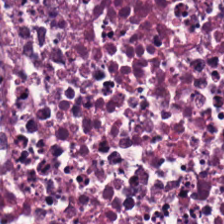H&E-stained tissue section. Q: What is shown in this field?
A: This is cellular debris.
